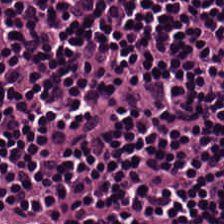Hematoxylin-and-eosin stained section. Tissue type: lymphoid infiltrate.
